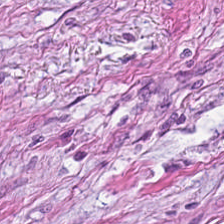H&E stain. The predominant tissue is tumor stroma.
